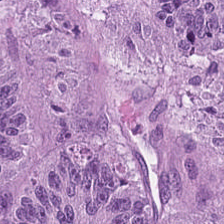H&E-stained tissue section. Q: What tissue type is shown here?
A: It is tumor epithelium.
